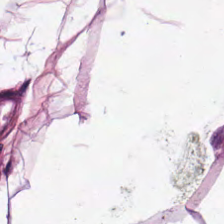Tissue class — adipocytes.
